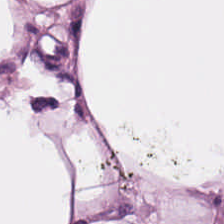H&E-stained tissue section · 224×224 px tile.
Predominantly adipocytes.
